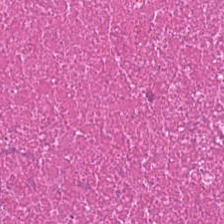Stain: H&E stain.
Tissue class: cellular debris.
